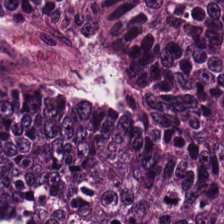224×224 px patch · hematoxylin and eosin · FFPE. Q: What is the predominant tissue type?
A: Adenocarcinoma.
